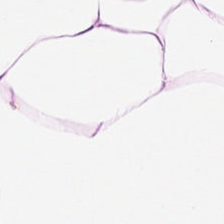H&E stain — Adipose tissue.
